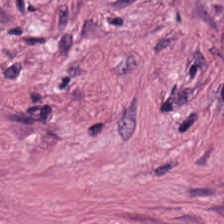FFPE. H&E stain.
Predominantly desmoplastic stroma.
